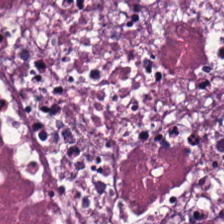Finding — necrotic debris.
